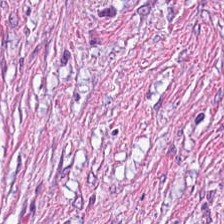224×224 px tile · H&E stain · 0.5 µm/px — This field is desmoplastic stroma.
